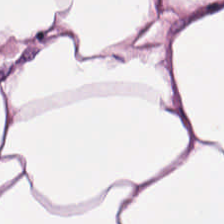H&E patch showing adipose.
